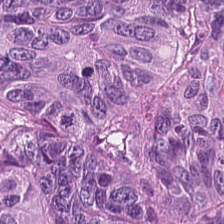H&E — Impression — tumor epithelium.
